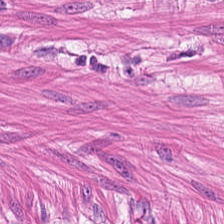H&E-stained tissue section showing smooth muscle.
